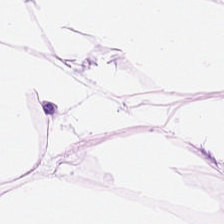Hematoxylin and eosin — Finding — adipose.
